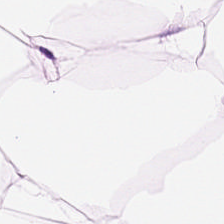Stain: H&E stain.
Tissue type: adipose tissue.
